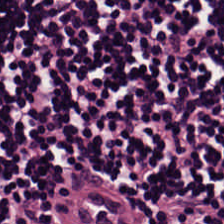0.5 µm per pixel · H&E stain · FFPE — {"tissue_type": "lymphocytic infiltrate"}
